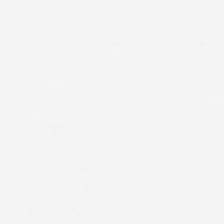Stain: H&E.
Resolution: 20× equivalent magnification.
Tile size: 224×224 pixel tile.
Classification: empty background.
